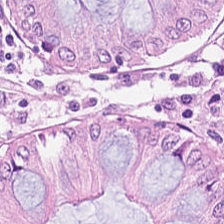224×224 px tile · H&E-stained tissue section.
Predominant tissue: normal colonic mucosa.
